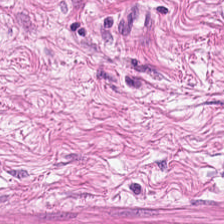Stain: H&E-stained tissue section.
Acquisition: brightfield.
Tissue: smooth muscle.
